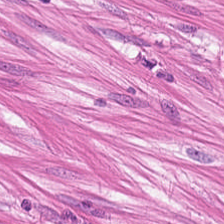WSI patch · H&E stain.
This patch shows smooth-muscle tissue.
